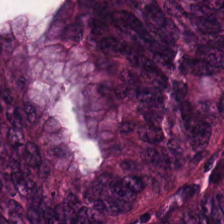H&E — tumor epithelium.
